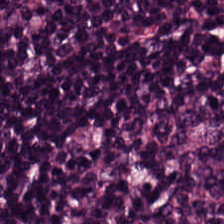H&E-stained tissue section. The predominant tissue is lymphocytic infiltrate.
